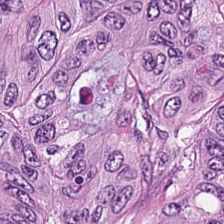Hematoxylin and eosin. Tissue class — adenocarcinoma.
